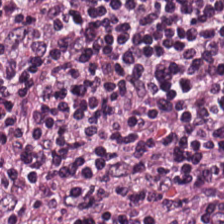20× equivalent magnification · hematoxylin-and-eosin stained section · FFPE tissue section. Q: What is shown here?
A: This is lymphocytes.
